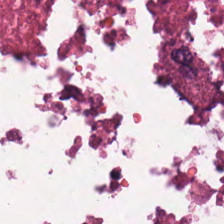Hematoxylin and eosin.
The predominant tissue is necrotic debris.
